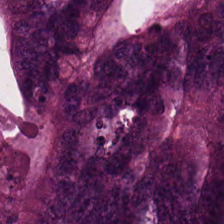Stain: H&E stain.
Classification: colorectal adenocarcinoma epithelium.
